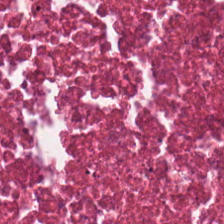0.5 µm per pixel · H&E-stained tissue section. {"tissue_type": "cellular debris"}
